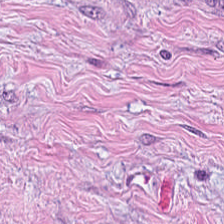{"tissue_type": "desmoplastic stroma"}
